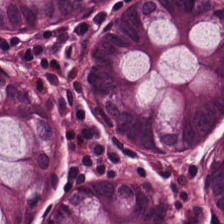Hematoxylin-and-eosin stained section. 224×224 pixel tile. Whole-slide-image patch.
This patch shows normal colonic mucosa.
